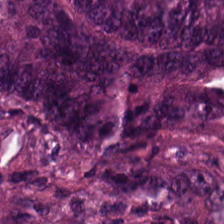H&E stain. FFPE. 0.5 µm/px. The predominant tissue is colorectal adenocarcinoma.
